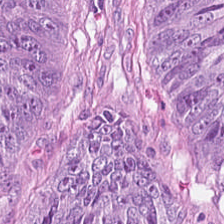Hematoxylin-and-eosin stained section.
Predominantly tumor epithelium.
